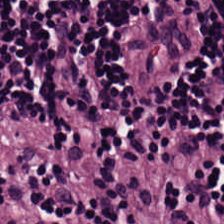Q: Identify the tissue.
A: Lymphocytes.
